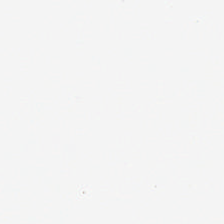H&E. The classification is background (no tissue).
